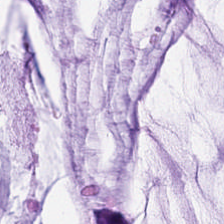Hematoxylin-and-eosin stained section. Impression — extracellular mucin.
